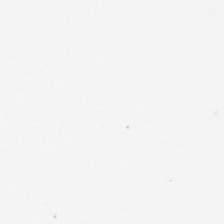Q: What is shown here?
A: The field shows empty background.
